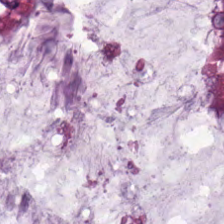H&E-stained tissue section.
The predominant tissue is mucin.
